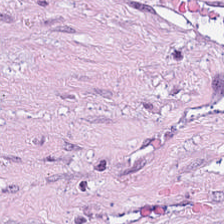H&E-stained tissue section; 0.5 microns per pixel — Predominant tissue: tumor stroma.
